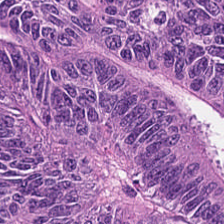Hematoxylin-and-eosin stained section — Q: Identify the tissue.
A: This is colorectal adenocarcinoma epithelium.
